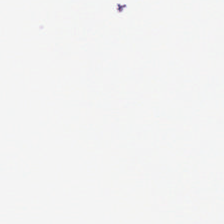The content is no tissue.
